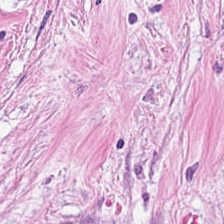H&E stain. 224×224 pixel tile. Impression → tumor-associated stroma.
